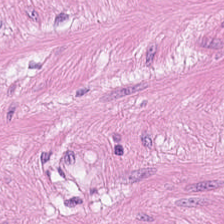H&E. 20× equivalent magnification. 224×224 px tile.
Classification = smooth-muscle tissue.
